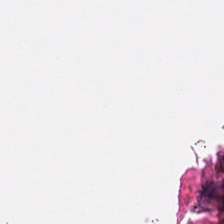H&E stain. Empty field — background (no tissue).
